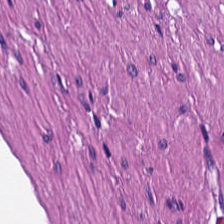H&E-stained tissue section · 0.5 µm per pixel — Tissue class — smooth-muscle tissue.
